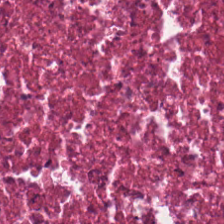The tissue is necrotic debris.
